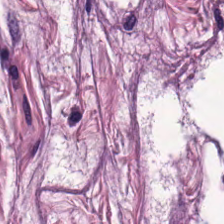Finding → muscularis.
